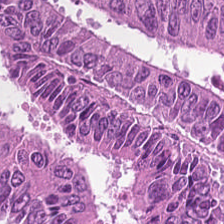Stain: H&E.
Tissue type: colorectal adenocarcinoma epithelium.
